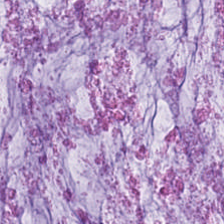H&E.
Classification — extracellular mucin.
